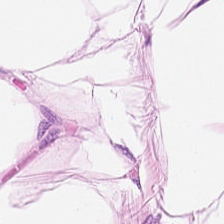H&E — This field is adipocytes.
